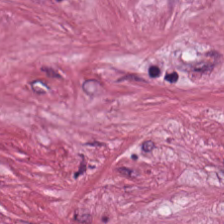FFPE · hematoxylin-and-eosin stained section · 0.5 microns per pixel. The predominant tissue is cancer-associated stroma.
